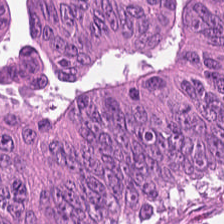Hematoxylin-and-eosin section: tumor epithelium.
